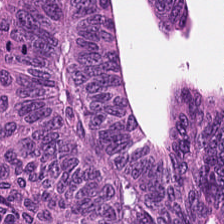FFPE tissue section. 224×224 px patch. Hematoxylin and eosin — Q: What does this patch show?
A: It is malignant epithelium.
